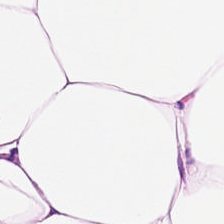0.5 microns per pixel · H&E stain. Classification — fat tissue.
